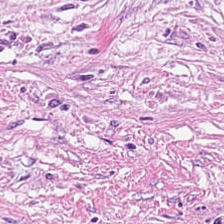Stain: H&E.
Classification: tumor-associated stroma.
